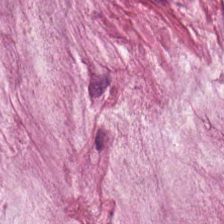Brightfield microscopy · hematoxylin and eosin · 0.5 µm per pixel.
Q: What is shown here?
A: The field shows extracellular mucin.
